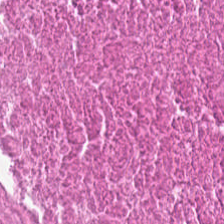H&E stain. Histology → cellular debris.
